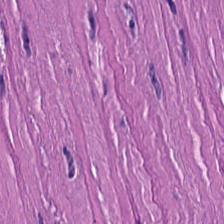Q: What type of tissue is this?
A: It is muscularis.
